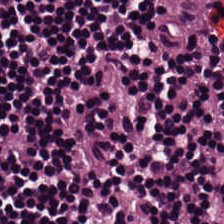H&E stain — Q: What is shown in this field?
A: The field shows lymphoid infiltrate.
